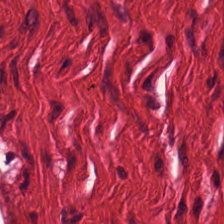FFPE tissue section · hematoxylin-and-eosin stained section. Histology → smooth muscle.
